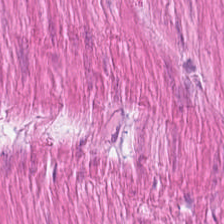0.5 µm/px · WSI patch · hematoxylin and eosin.
Q: Classify this patch.
A: This is smooth muscle.
